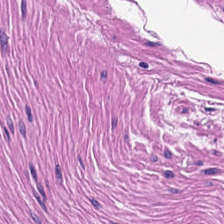H&E-stained tissue section — The predominant tissue is muscularis.
